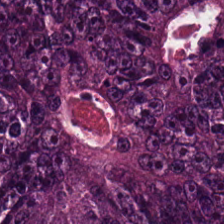H&E stain.
Q: What is the predominant tissue type?
A: Colorectal adenocarcinoma epithelium.
